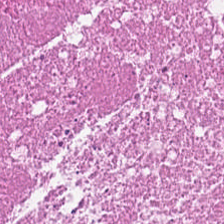Brightfield microscopy. H&E.
{"tissue_type": "necrotic debris"}
